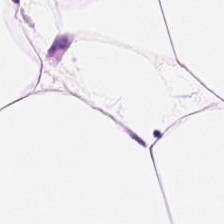Hematoxylin and eosin — Q: What is shown in this field?
A: Fat tissue.
